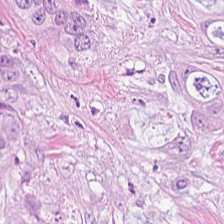H&E · brightfield microscopy — Predominant tissue — colorectal adenocarcinoma.
